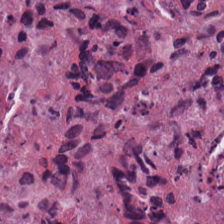Hematoxylin and eosin. Q: What is the predominant tissue type?
A: This is cellular debris.
